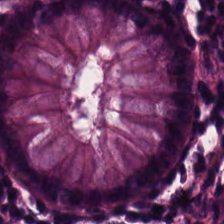H&E · whole-slide-image patch · 224×224 pixel tile. This field is non-neoplastic colon mucosa.
